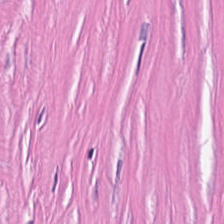0.5 µm/px. H&E-stained tissue section. This field is cancer-associated stroma.
